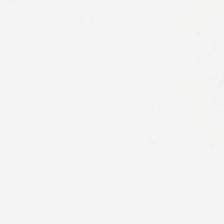0.5 µm per pixel · WSI patch · H&E-stained tissue section — Background — no tissue in this field.
